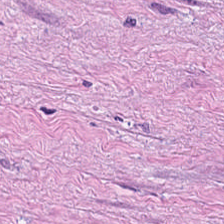Stain: hematoxylin-and-eosin stained section.
Tissue class: cancer-associated stroma.
